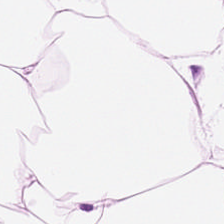Hematoxylin-and-eosin stained section. Predominant tissue = adipose tissue.
